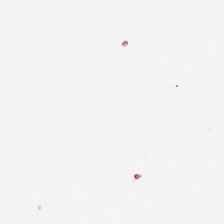H&E. This field is background (no tissue).
